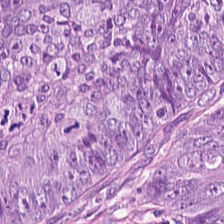The tissue here is malignant epithelium.
